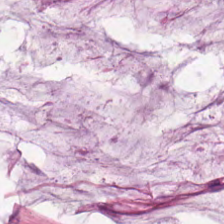Whole-slide-image patch. Hematoxylin-and-eosin stained section. 224×224 px patch.
Predominant tissue — extracellular mucin.
